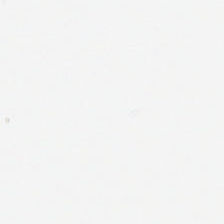Stain: H&E.
Preparation: FFPE.
Content: background (no tissue).
